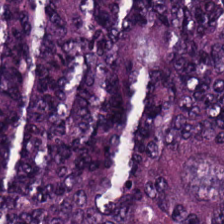H&E-stained tissue section. Tissue type — adenocarcinoma.
